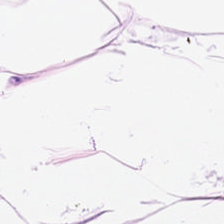Formalin-fixed paraffin-embedded section. H&E stain. 0.5 µm/px — This patch shows adipose.
